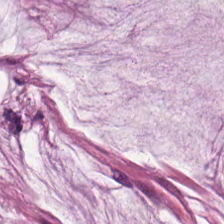Stain: H&E-stained tissue section.
Resolution: 20× equivalent magnification.
Tissue type: mucus.
